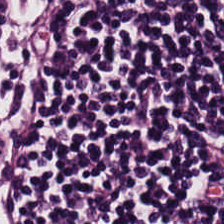Hematoxylin-and-eosin stained section — Q: What tissue type is shown here?
A: This is lymphocyte aggregate.
